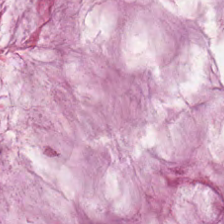H&E-stained tissue section.
The classification is mucus.
